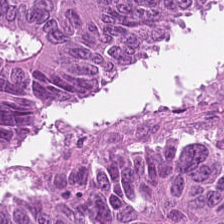Stain: H&E-stained tissue section.
Tissue class: adenocarcinoma.
